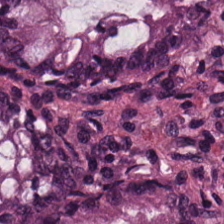H&E stain.
Predominantly benign colonic mucosa.
